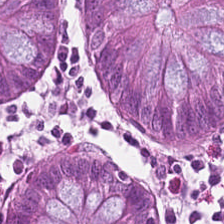224×224 pixel tile · 20× equivalent magnification · hematoxylin and eosin — This field is non-neoplastic colon mucosa.
